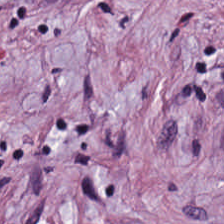H&E — Showing cancer-associated stroma.
